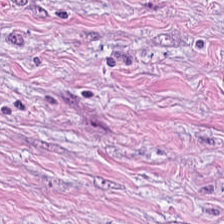Stain: hematoxylin-and-eosin stained section.
Resolution: 0.5 µm per pixel.
Tissue class: cancer-associated stroma.
